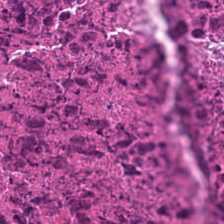0.5 µm per pixel. WSI patch. Hematoxylin-and-eosin stained section — Classification: debris.
